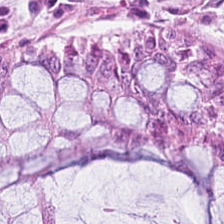Hematoxylin-and-eosin stained section. 20× equivalent magnification. Whole-slide-image patch. Showing non-neoplastic colon mucosa.
